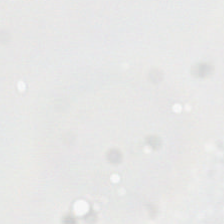Hematoxylin-and-eosin stained section; 0.5 µm per pixel.
Empty field — no tissue.
